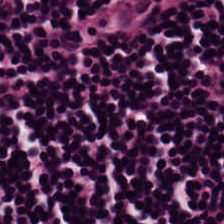0.5 µm per pixel; H&E stain; 224×224 pixel tile.
Q: What type of tissue is this?
A: This is lymphocytic infiltrate.
